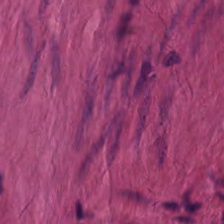0.5 microns per pixel; 224×224 pixel tile; H&E-stained tissue section. The predominant tissue is muscularis.
